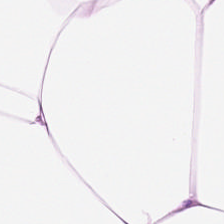Brightfield microscopy. Hematoxylin-and-eosin stained section. Fat tissue.
